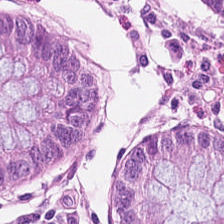FFPE tissue section · brightfield microscopy · hematoxylin and eosin — Finding — benign colonic mucosa.
